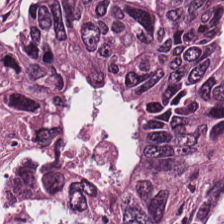Histology → malignant epithelium.
